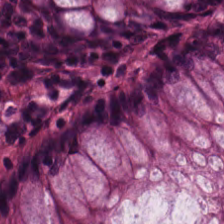H&E; 0.5 µm/px; FFPE — Q: What tissue is shown?
A: This is benign colonic mucosa.
